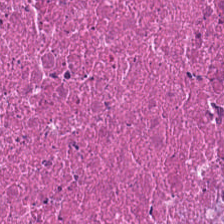H&E-stained tissue section — {"tissue_type": "necrotic debris"}
